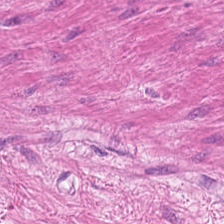Hematoxylin and eosin · 20× equivalent magnification · FFPE.
The classification is smooth muscle.
